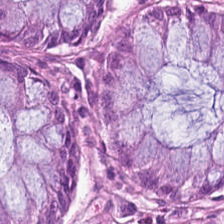The predominant tissue is normal colon mucosa.
